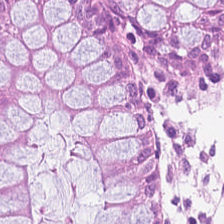0.5 microns per pixel · hematoxylin and eosin · brightfield.
Showing normal colonic mucosa.
